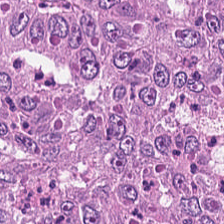20× equivalent magnification · H&E-stained tissue section. Q: What tissue is shown?
A: The field shows adenocarcinoma.
